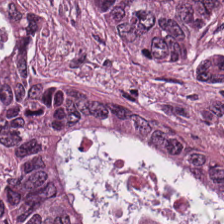Hematoxylin-and-eosin stained section. 224×224 px patch.
Classification = malignant epithelium.
